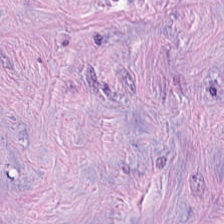Classification — tumor-associated stroma.
